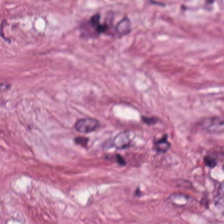224×224 px tile; hematoxylin-and-eosin stained section.
Histology → tumor stroma.
